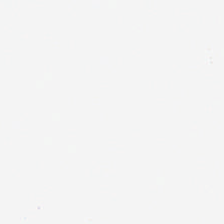Hematoxylin-and-eosin stained section; brightfield microscopy — Q: Classify this patch.
A: This is empty background.
